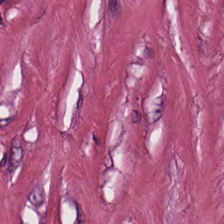Hematoxylin and eosin · 224×224 px patch · 0.5 µm/px. Q: Identify the tissue.
A: Desmoplastic stroma.
